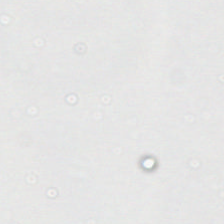Stain: hematoxylin and eosin.
Preparation: formalin-fixed paraffin-embedded section.
Content: no tissue.
